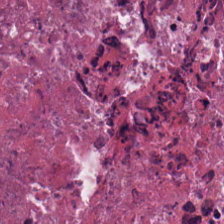Hematoxylin-and-eosin stained section.
Debris.
